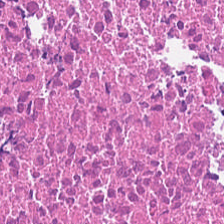Hematoxylin and eosin · 0.5 microns per pixel — Classification = cellular debris.
